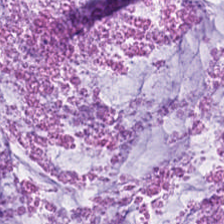This field is mucin.
